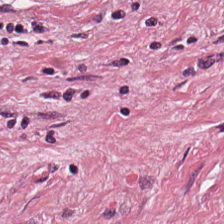Hematoxylin-and-eosin stained section · 224×224 px patch. Q: What does this patch show?
A: This is desmoplastic stroma.
